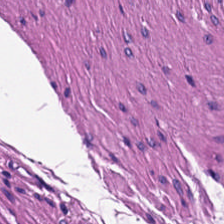This patch shows smooth-muscle tissue.
